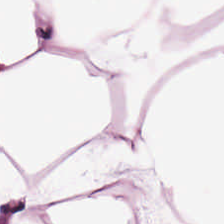{"tissue_type": "adipose tissue"}
